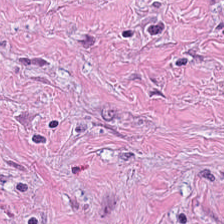0.5 µm per pixel · formalin-fixed paraffin-embedded section · H&E stain. This patch shows cancer-associated stroma.
